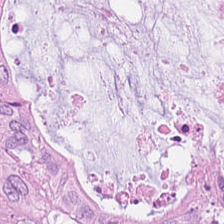H&E; 224×224 px tile. Predominant tissue = adenocarcinoma.
